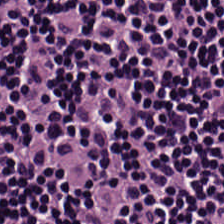20× equivalent magnification · H&E-stained tissue section — This field is lymphocytic infiltrate.
